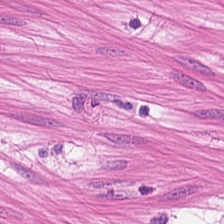Whole-slide-image patch; H&E — The classification is muscularis.
